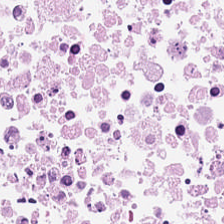0.5 microns per pixel; FFPE; H&E-stained tissue section — Tissue = necrotic debris.
